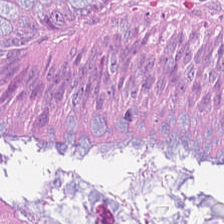This patch shows colorectal adenocarcinoma epithelium.
